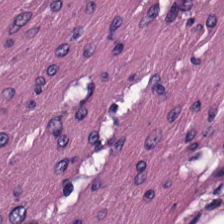Stain: H&E stain.
Tissue class: smooth-muscle tissue.
